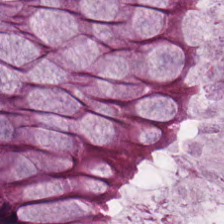Hematoxylin and eosin. FFPE. WSI patch. Showing benign colonic mucosa.
